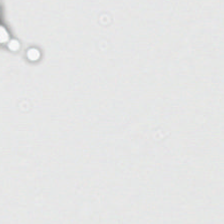FFPE. Hematoxylin-and-eosin stained section — No tissue present; background only.
